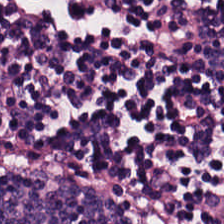Q: Identify the tissue.
A: It is lymphoid infiltrate.
